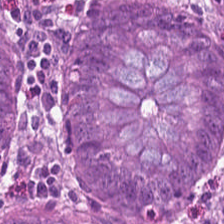Hematoxylin-and-eosin stained section — The tissue here is normal colon mucosa.
